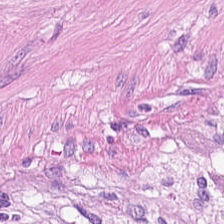Brightfield. Hematoxylin-and-eosin stained section — Q: What type of tissue is this?
A: It is muscularis.
